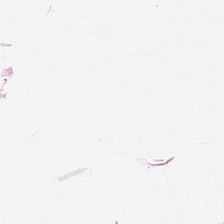H&E — adipocytes.
